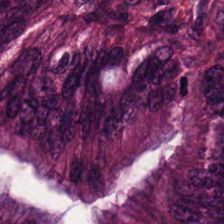Stain: H&E.
Tile size: 224×224 px tile.
Tissue: colorectal adenocarcinoma epithelium.
